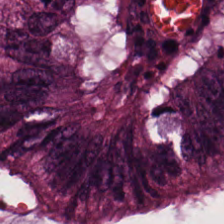H&E-stained section; the field shows colorectal adenocarcinoma.
